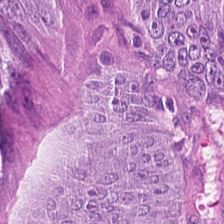Formalin-fixed paraffin-embedded section; H&E. {"tissue_type": "tumor epithelium"}
